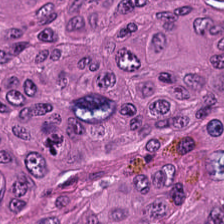Q: What is the predominant tissue type?
A: This is colorectal adenocarcinoma epithelium.
